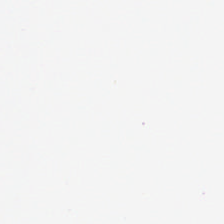20× equivalent magnification. Hematoxylin-and-eosin stained section — Empty field — no tissue.
